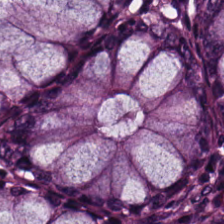Stain: H&E-stained tissue section.
Resolution: 0.5 µm/px.
Predominant tissue: normal colon mucosa.
